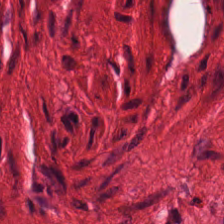H&E · 224×224 px patch · 20× equivalent magnification. Showing smooth-muscle tissue.
